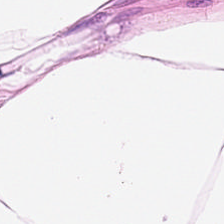Impression → adipocytes.
